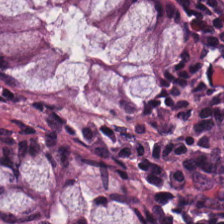H&E stain. This field is normal colonic mucosa.
